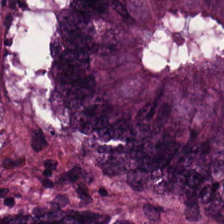Hematoxylin and eosin.
This patch shows adenocarcinoma.
